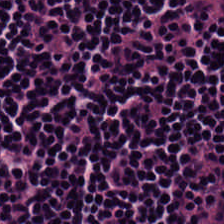H&E — lymphocytes.
